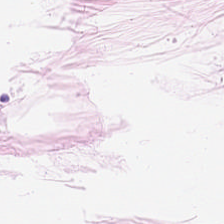Hematoxylin-and-eosin stained section.
This field is adipocytes.
